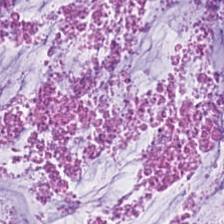FFPE tissue section; H&E. Showing extracellular mucin.
